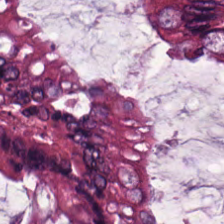Hematoxylin and eosin. This field is benign colonic mucosa.
